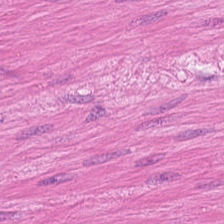Stain: H&E.
Classification: smooth-muscle tissue.
